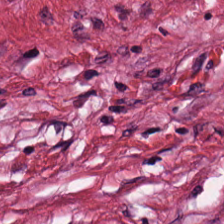Stain: hematoxylin and eosin.
Preparation: formalin-fixed paraffin-embedded section.
Tissue type: tumor stroma.
